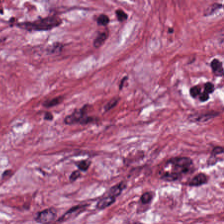H&E stain — The predominant tissue is desmoplastic stroma.
